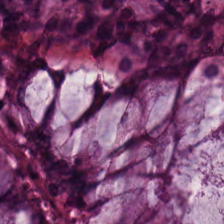FFPE · H&E stain · 0.5 µm/px.
Predominantly normal colonic mucosa.
